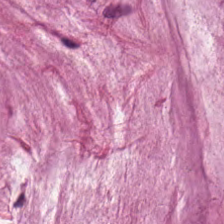Stain: hematoxylin and eosin.
Tissue: mucin.
